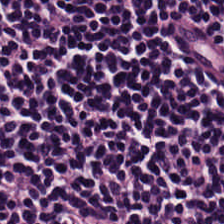Stain: H&E-stained tissue section.
Predominant tissue: lymphocyte aggregate.
